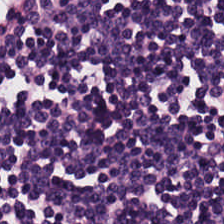{"tissue_type": "lymphocytes"}
